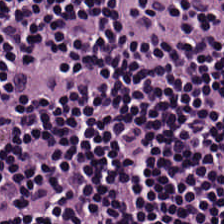224×224 pixel tile; hematoxylin and eosin — The tissue here is lymphocytic infiltrate.
